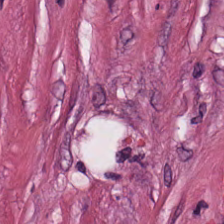Hematoxylin and eosin.
Q: What does this patch show?
A: Tumor-associated stroma.
